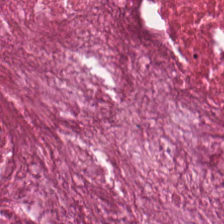The tissue type is necrotic debris.
